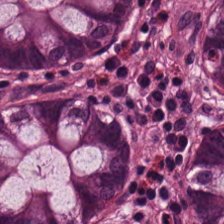Showing non-neoplastic colon mucosa.
